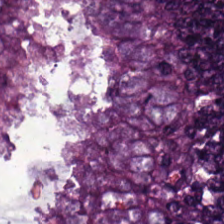Hematoxylin and eosin — {"tissue_type": "colorectal adenocarcinoma epithelium"}
